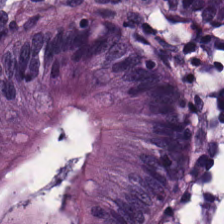H&E-stained tissue section. 224×224 px tile. The tissue here is non-neoplastic colon mucosa.
